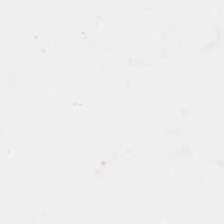Hematoxylin-and-eosin stained section. The content is background.
